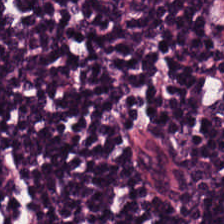Stain: H&E-stained tissue section.
Predominant tissue: lymphocyte aggregate.
